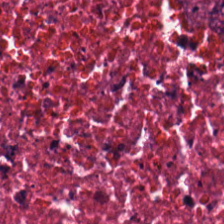H&E-stained tissue section; FFPE; 224×224 px tile — Q: What type of tissue is this?
A: This is cellular debris.
